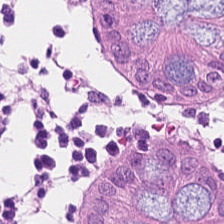Hematoxylin-and-eosin stained section — {"tissue_type": "normal colonic mucosa"}
